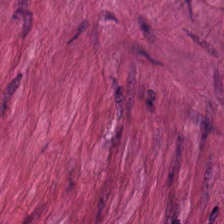H&E-stained tissue section; 224×224 px patch; 0.5 µm/px.
Classification — muscularis.
